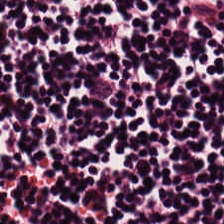Tissue type — lymphocyte aggregate.
